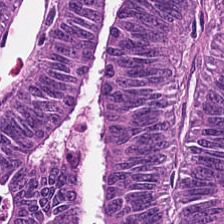H&E stain. The tissue class is adenocarcinoma.
